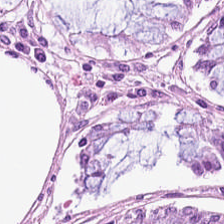Finding → non-neoplastic colon mucosa.
